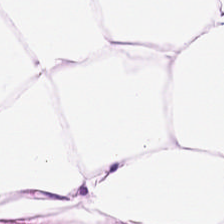H&E-stained tissue section · 224×224 px tile.
Adipose tissue.
